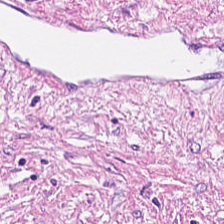224×224 px patch · H&E stain.
Predominantly tumor stroma.
